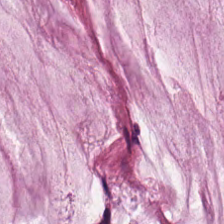Q: What is the predominant tissue type?
A: The field shows mucus.
